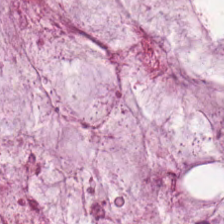Classification: extracellular mucin.
